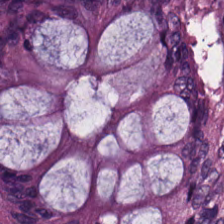Hematoxylin-and-eosin stained section.
The tissue here is normal colon mucosa.
